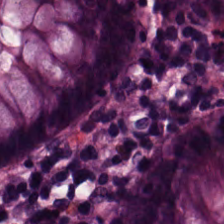Hematoxylin-and-eosin stained section. FFPE tissue section — Impression → normal colon mucosa.
